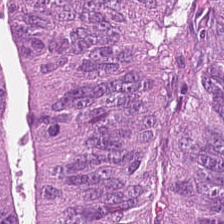The tissue here is colorectal adenocarcinoma.
